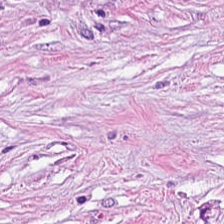H&E stain. Q: What tissue is shown?
A: Cancer-associated stroma.
